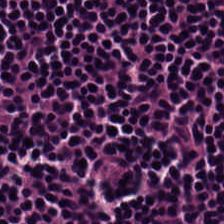FFPE tissue section. 20× equivalent magnification. Hematoxylin and eosin — Classification — lymphocytes.
